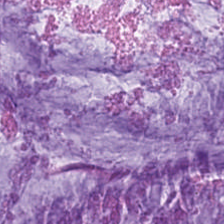H&E.
Showing mucin.
